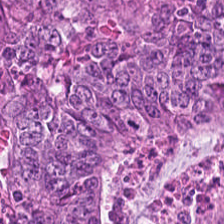H&E — {"tissue_type": "tumor epithelium"}
